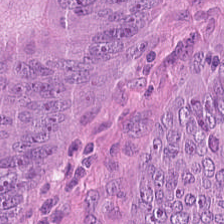0.5 µm/px · H&E-stained tissue section.
The predominant tissue is adenocarcinoma.
